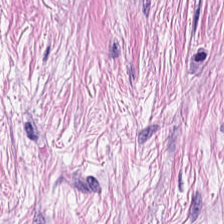H&E-stained tissue section — Desmoplastic stroma.
